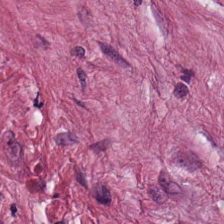Impression → cancer-associated stroma.
